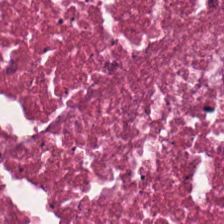H&E.
Predominant tissue: cellular debris.
